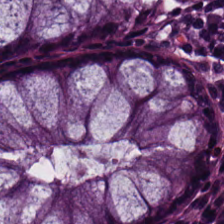H&E stain — Q: Classify this patch.
A: It is non-neoplastic colon mucosa.
